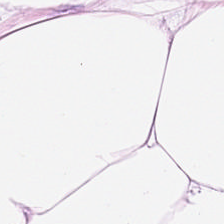Hematoxylin-and-eosin stained section. Adipose.
